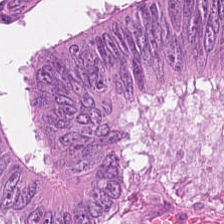The tissue here is tumor epithelium.
